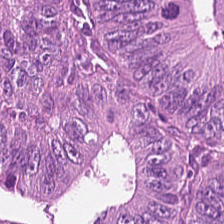224×224 pixel tile · 20× equivalent magnification · hematoxylin-and-eosin stained section — Tissue class = tumor epithelium.
